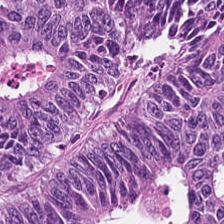224×224 px tile. H&E. Brightfield microscopy.
{"tissue_type": "tumor epithelium"}
